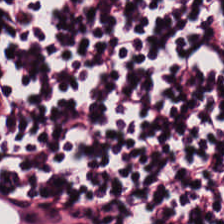H&E stain. Lymphocyte aggregate.
